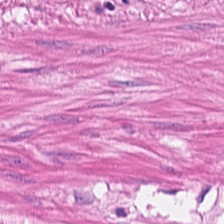Q: What is shown here?
A: This is smooth muscle.
